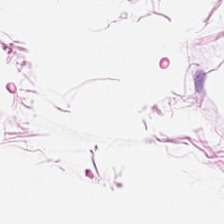Hematoxylin-and-eosin stained section; 224×224 px patch.
{"tissue_type": "adipocytes"}
